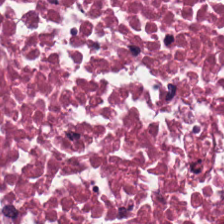Whole-slide-image patch · hematoxylin-and-eosin stained section · 0.5 µm per pixel. The predominant tissue is necrotic debris.
